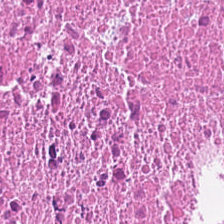224×224 px patch. H&E-stained tissue section.
The tissue here is necrotic debris.
